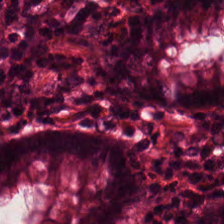Hematoxylin and eosin.
The tissue is normal colon mucosa.
